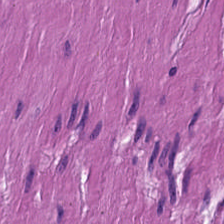Hematoxylin-and-eosin stained section — {"tissue_type": "muscularis"}
